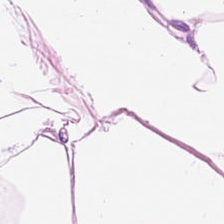Stain: hematoxylin and eosin.
Tissue: fat tissue.
